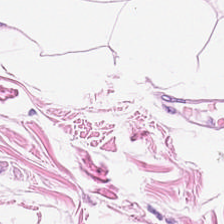Stain: H&E stain.
Tile size: 224×224 px patch.
Predominant tissue: fat tissue.
